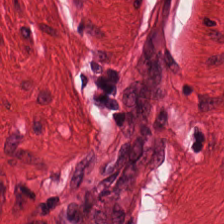Whole-slide-image patch · hematoxylin and eosin. Showing smooth-muscle tissue.
